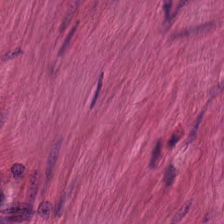0.5 µm/px. Hematoxylin and eosin. This patch shows smooth muscle.
